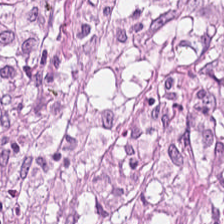Stain: H&E stain.
Tissue class: cancer-associated stroma.
